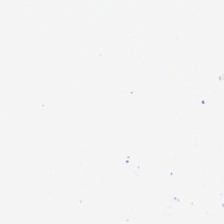0.5 microns per pixel. WSI patch. Hematoxylin-and-eosin stained section. Background — no tissue in this field.
